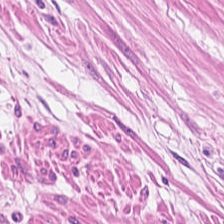H&E-stained tissue section.
The tissue here is muscularis.
